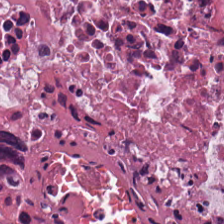Histology → cellular debris.
